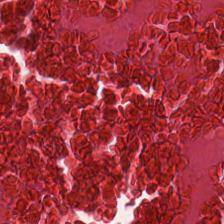Whole-slide-image patch. H&E stain. This patch shows cellular debris.
